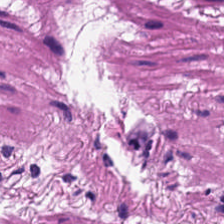Q: What is shown in this field?
A: The field shows smooth muscle.
